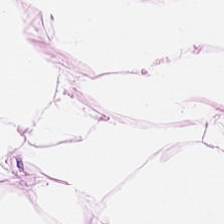20× equivalent magnification; whole-slide-image patch; H&E stain. Tissue type — adipose.
